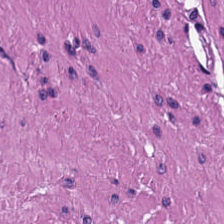Impression → muscularis.
